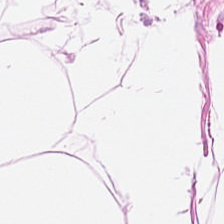H&E — fat tissue.
